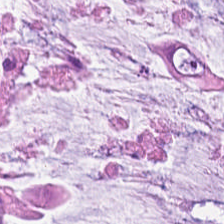Hematoxylin-and-eosin stained section. 224×224 px patch.
The tissue type is mucus.
